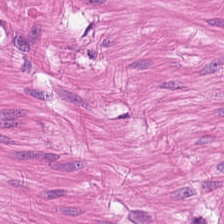H&E stain; 224×224 px patch.
{"tissue_type": "smooth muscle"}
